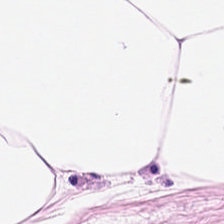H&E-stained tissue section; FFPE tissue section. Tissue type — adipocytes.
